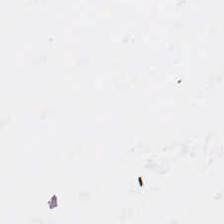Hematoxylin-and-eosin stained section — Q: What is shown here?
A: This is empty background.
